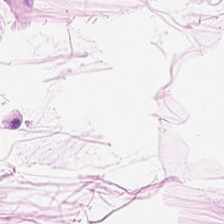Stain: hematoxylin-and-eosin stained section.
Predominant tissue: adipose tissue.
